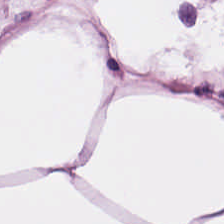Stain: H&E.
Resolution: 0.5 µm per pixel.
Predominant tissue: fat tissue.
